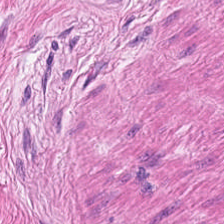224×224 px patch · 0.5 µm/px · hematoxylin and eosin — The predominant tissue is muscularis.
